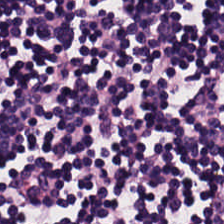Q: What tissue is shown?
A: This is lymphocytes.
